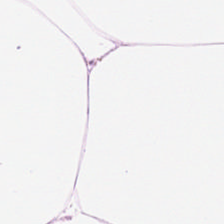H&E; FFPE; 0.5 µm per pixel.
{"tissue_type": "adipose"}
